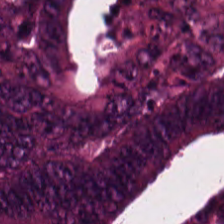Tissue = tumor epithelium.
